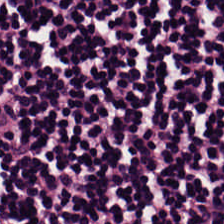Stain: H&E.
Classification: lymphoid infiltrate.
